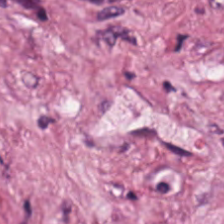Stain: H&E stain.
Tissue type: cancer-associated stroma.
